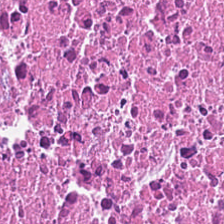Hematoxylin and eosin.
The predominant tissue is debris.
